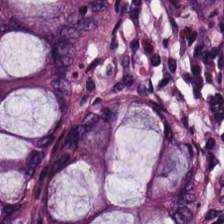H&E. Q: What does this patch show?
A: The field shows benign colonic mucosa.
